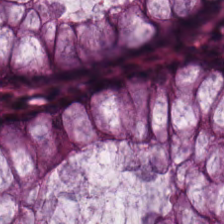FFPE tissue section · WSI patch · hematoxylin and eosin — Finding — normal colon mucosa.
